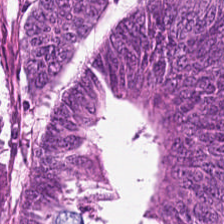H&E.
Tissue class — colorectal adenocarcinoma.
